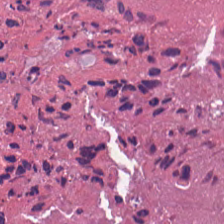Classification — debris.
